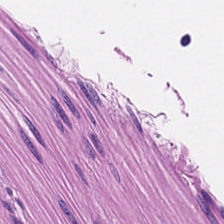0.5 microns per pixel. Hematoxylin-and-eosin stained section — The predominant tissue is smooth-muscle tissue.
